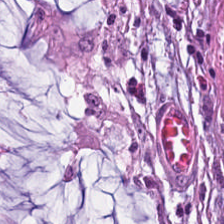Hematoxylin and eosin — Mucus.
